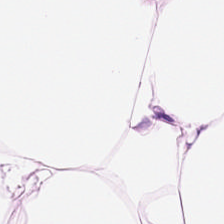H&E.
This patch shows adipocytes.
